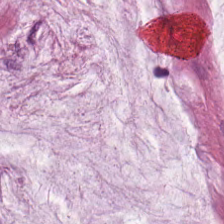Stain: H&E.
Acquisition: whole-slide-image patch.
Tissue class: mucin.
